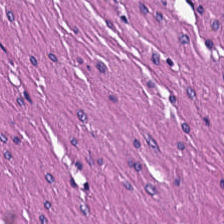H&E-stained tissue section. Q: What tissue is shown?
A: Smooth muscle.
